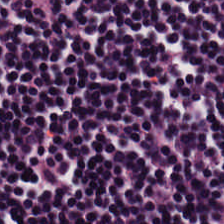H&E-stained tissue section · 0.5 µm per pixel. This patch shows lymphocytes.
